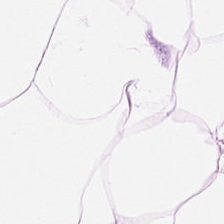Tissue class = adipocytes.
